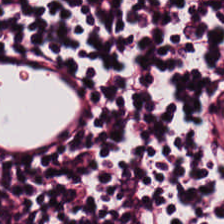Tissue = lymphoid infiltrate.
